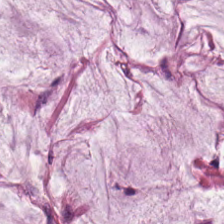H&E-stained tissue section · 224×224 px patch — Predominantly mucus.
